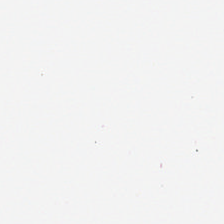224×224 px tile · H&E.
Empty field — empty background.
